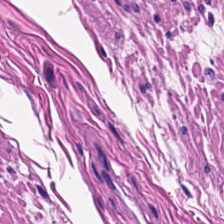0.5 µm per pixel; H&E; brightfield — Q: Classify this patch.
A: The field shows muscularis.
